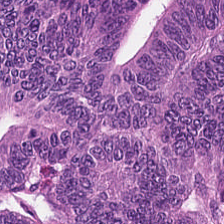Stain: hematoxylin and eosin.
Tissue class: tumor epithelium.
